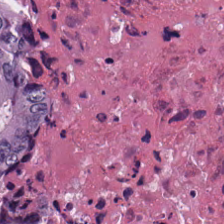Hematoxylin-and-eosin stained section. Histology — cellular debris.
